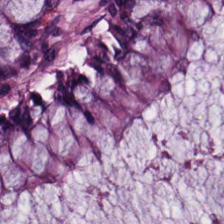Histology → normal colon mucosa.
